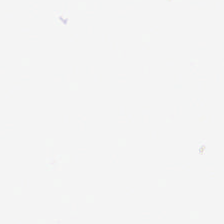H&E-stained tissue section. 224×224 px tile. Formalin-fixed paraffin-embedded section — Background — no tissue in this field.
